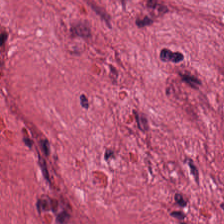0.5 µm/px; hematoxylin-and-eosin stained section — Tissue: tumor-associated stroma.
